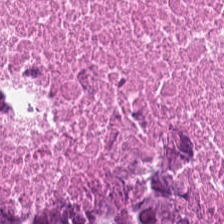H&E stain.
Q: What is the predominant tissue type?
A: It is cellular debris.
